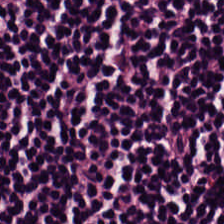Stain: hematoxylin-and-eosin stained section.
Classification: lymphoid infiltrate.
